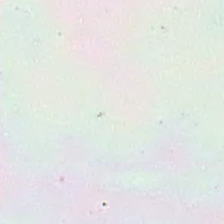Hematoxylin-and-eosin stained section.
Field content = empty background.
